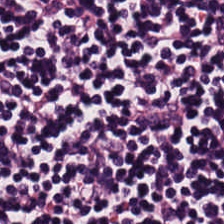Brightfield. H&E stain. 0.5 microns per pixel.
The predominant tissue is lymphocytes.
